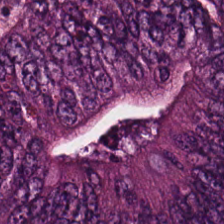H&E-stained tissue section.
Tissue type = colorectal adenocarcinoma epithelium.
